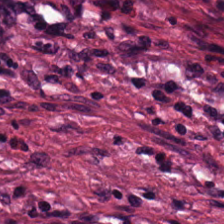Impression — tumor stroma.
